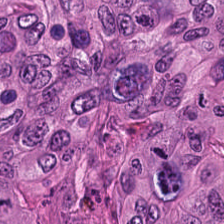Impression → adenocarcinoma.
